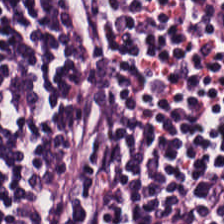0.5 µm per pixel · hematoxylin and eosin · FFPE — Q: What tissue is shown?
A: Lymphocytic infiltrate.
